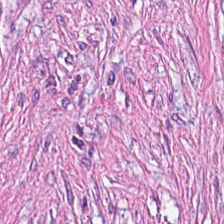H&E stain. 224×224 pixel tile. The tissue here is desmoplastic stroma.
